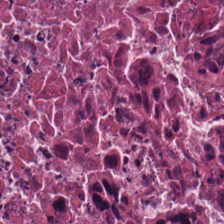Stain: hematoxylin-and-eosin stained section.
Preparation: formalin-fixed paraffin-embedded section.
Predominant tissue: debris.
